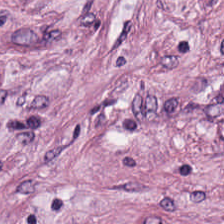Hematoxylin-and-eosin stained section · 224×224 px tile.
Q: What type of tissue is this?
A: It is tumor stroma.
